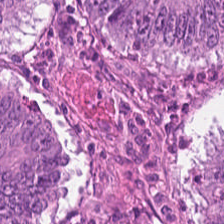224×224 px patch · H&E-stained tissue section. The tissue here is malignant epithelium.
